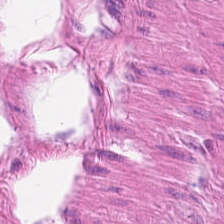H&E stain. Finding — muscularis.
